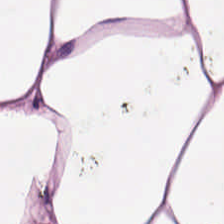Hematoxylin and eosin — Predominantly fat tissue.
